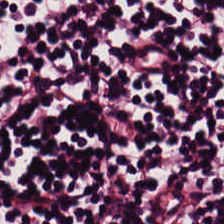Hematoxylin-and-eosin stained section; FFPE.
Impression → lymphocytic infiltrate.
